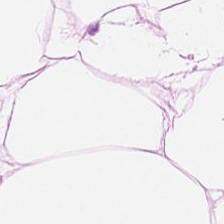Tissue type — adipose.
